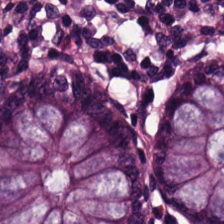Stain: H&E stain.
Resolution: 0.5 µm/px.
Tissue type: non-neoplastic colon mucosa.
